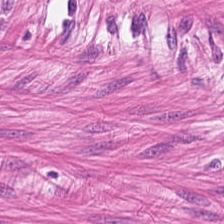Stain: H&E-stained tissue section.
Tile size: 224×224 pixel tile.
Predominant tissue: smooth muscle.
